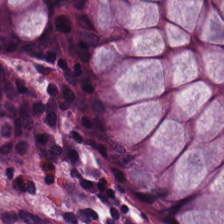H&E-stained tissue section · 0.5 µm/px · FFPE tissue section — Predominantly normal colon mucosa.
